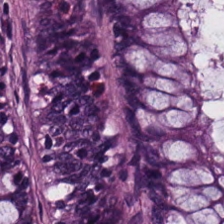Hematoxylin-and-eosin stained section · 0.5 µm per pixel — {"tissue_type": "normal colon mucosa"}
